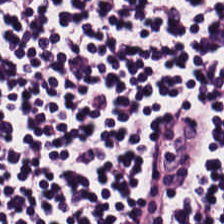FFPE; H&E-stained tissue section. The tissue here is lymphoid infiltrate.
